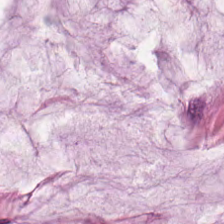Showing extracellular mucin.
